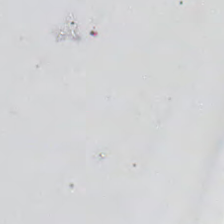Hematoxylin and eosin; WSI patch.
Finding — no tissue.
